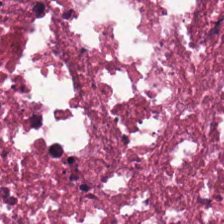Formalin-fixed paraffin-embedded section; 224×224 px patch; H&E stain. Predominant tissue — cellular debris.
